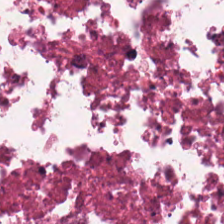Stain: H&E stain.
Tissue class: necrotic debris.
